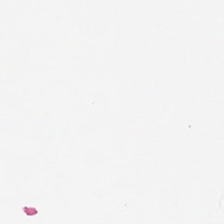Hematoxylin-and-eosin stained section. Background — no tissue in this field.
